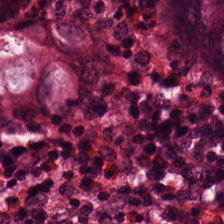H&E — Predominantly non-neoplastic colon mucosa.
